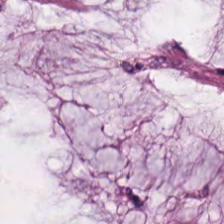H&E stain. {"tissue_type": "mucin"}
